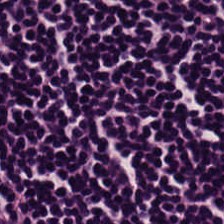H&E stain — Q: What does this patch show?
A: This is lymphocytic infiltrate.
